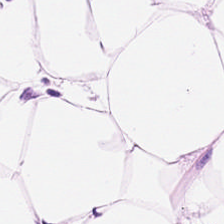Hematoxylin-and-eosin stained section — Q: What does this patch show?
A: The field shows adipose.
